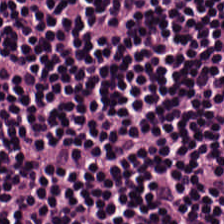Hematoxylin and eosin.
Impression — lymphocytes.
